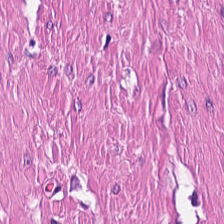H&E-stained tissue section. This field is smooth muscle.
